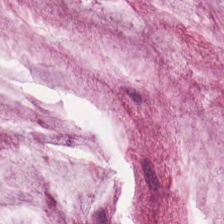H&E — This patch shows mucus.
